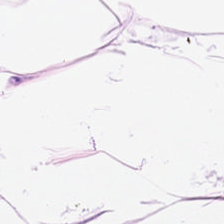Stain: H&E-stained tissue section.
Tissue: adipose tissue.
